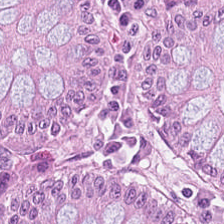Hematoxylin and eosin — {"tissue_type": "normal colon mucosa"}
